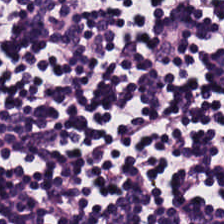224×224 px tile. H&E. 0.5 µm per pixel. Histology — lymphoid infiltrate.
